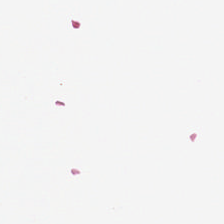H&E-stained tissue section. Q: What is shown here?
A: The field shows background.
